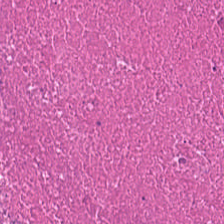H&E stain — This patch shows cellular debris.
